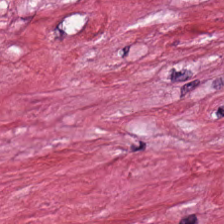Hematoxylin-and-eosin stained section.
The tissue class is desmoplastic stroma.
